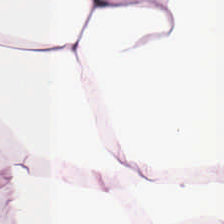Predominant tissue — fat tissue.
